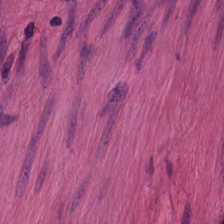Hematoxylin and eosin. The tissue type is smooth muscle.
